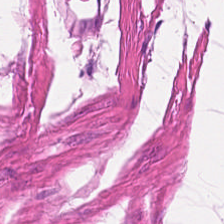H&E.
Muscularis.
